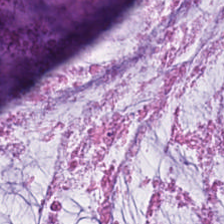Stain: H&E.
Tile size: 224×224 pixel tile.
Tissue: mucin.
